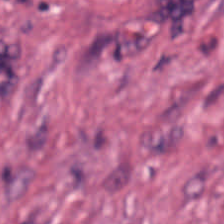H&E. Impression → tumor-associated stroma.
